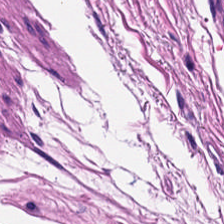224×224 px tile; FFPE tissue section; hematoxylin-and-eosin stained section. Classification: smooth-muscle tissue.
